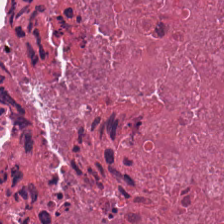Hematoxylin and eosin. Histology — debris.
